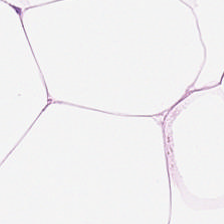H&E; 224×224 px tile. Tissue — adipocytes.
